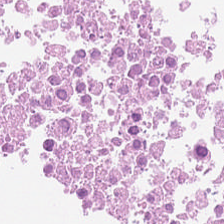H&E stain. The predominant tissue is debris.
